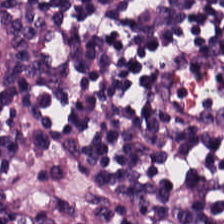H&E stain. This field is lymphocytes.
